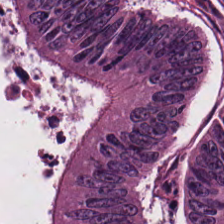Hematoxylin-and-eosin stained section — Finding → colorectal adenocarcinoma epithelium.
